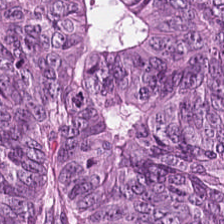H&E-stained tissue section — The classification is colorectal adenocarcinoma epithelium.
